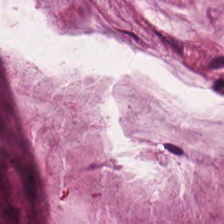Stain: H&E stain.
Tissue: mucin.
